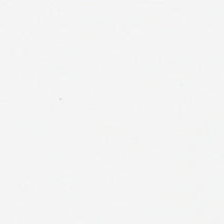0.5 µm/px · H&E stain. Background — no tissue in this field.
